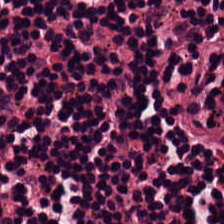0.5 µm/px. Hematoxylin-and-eosin stained section.
Q: What type of tissue is this?
A: This is lymphocyte aggregate.
